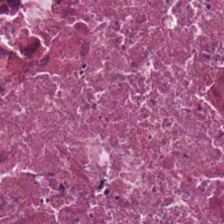H&E; FFPE — Q: What tissue is shown?
A: Debris.
